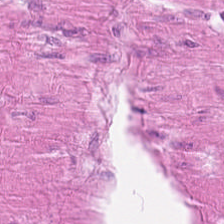Hematoxylin-and-eosin stained section · 224×224 px tile.
Tissue type: smooth-muscle tissue.
